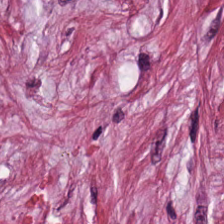Predominant tissue = desmoplastic stroma.
